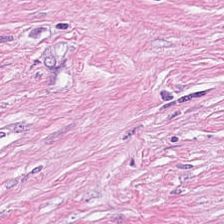H&E — desmoplastic stroma.
